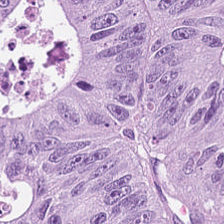Predominantly malignant epithelium.
